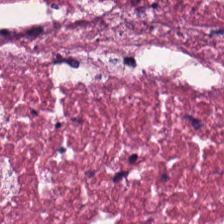Hematoxylin-and-eosin stained section.
Predominant tissue — cellular debris.
